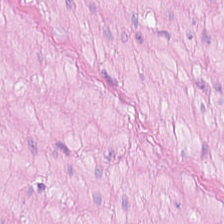Stain: H&E.
Tissue: muscularis.
